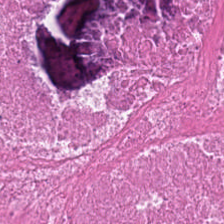Hematoxylin and eosin.
Predominant tissue = cellular debris.
